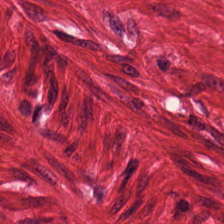H&E — Q: What is shown here?
A: This is muscularis.
